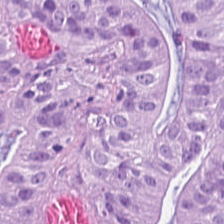Brightfield microscopy. H&E-stained tissue section. 0.5 µm per pixel — This patch shows adenocarcinoma.
